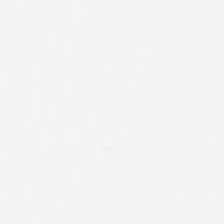Hematoxylin-and-eosin stained section — Finding → background.
